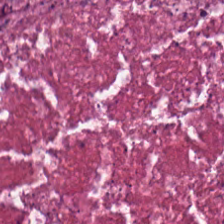H&E stain. 224×224 px tile. Histology — debris.
